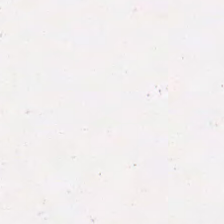H&E-stained tissue section — Cellular debris.
